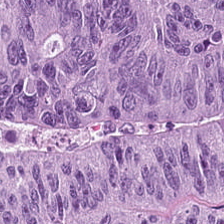This patch shows malignant epithelium.
